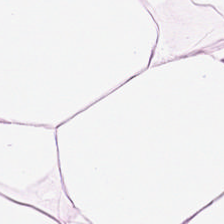WSI patch; H&E; formalin-fixed paraffin-embedded section.
{"tissue_type": "adipocytes"}
